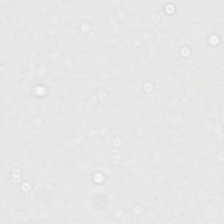224×224 pixel tile; FFPE tissue section; hematoxylin-and-eosin stained section.
No tissue present; background only.
